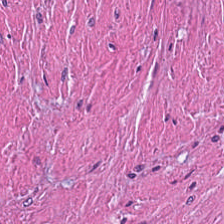H&E stain.
This patch shows necrotic debris.
